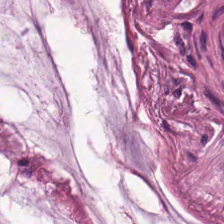Stain: H&E-stained tissue section.
Classification: mucus.
